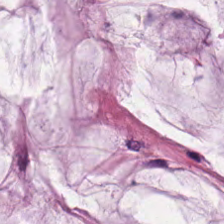H&E-stained tissue section showing mucin.
